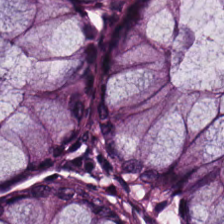Stain: hematoxylin-and-eosin stained section.
Resolution: 0.5 microns per pixel.
Preparation: FFPE tissue section.
Classification: normal colon mucosa.
